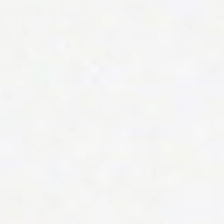Stain: H&E-stained tissue section.
Classification: background.
